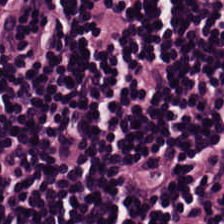H&E — Q: Identify the tissue.
A: This is lymphocytes.
